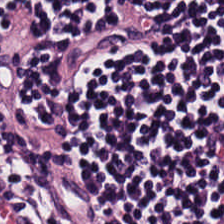Hematoxylin and eosin.
Lymphocyte aggregate.
